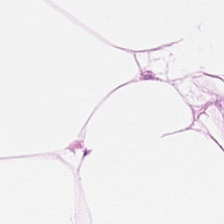Q: What does this patch show?
A: The field shows adipocytes.
